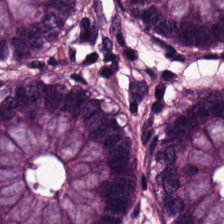Stain: H&E-stained tissue section.
Tissue type: normal colonic mucosa.
